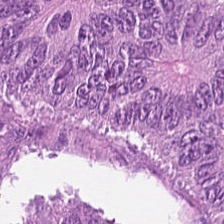Hematoxylin-and-eosin stained section. Whole-slide-image patch. 0.5 µm/px — Tissue type: tumor epithelium.
